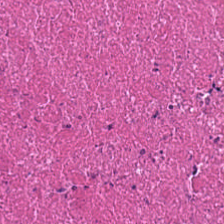H&E.
Impression → cellular debris.
